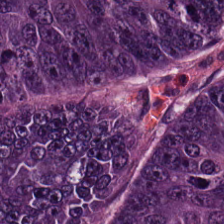Tissue type — colorectal adenocarcinoma.
